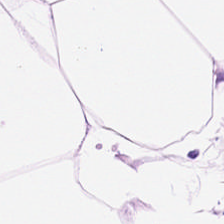0.5 µm per pixel · H&E stain.
{"tissue_type": "fat tissue"}
